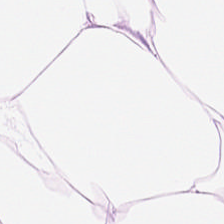0.5 µm/px. H&E-stained tissue section — Q: What is shown here?
A: Adipocytes.
